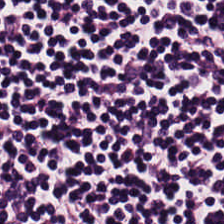20× equivalent magnification. Whole-slide-image patch. H&E.
The tissue here is lymphocyte aggregate.
